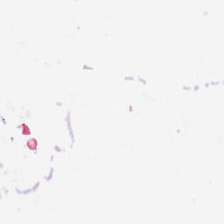H&E stain — Field content = empty background.
